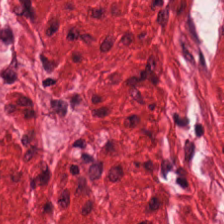Q: Classify this patch.
A: It is smooth-muscle tissue.
